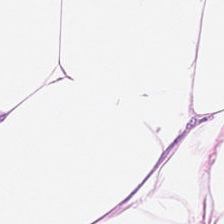H&E-stained tissue section. This field is adipocytes.
